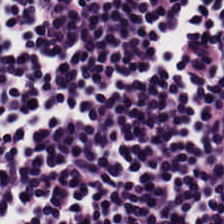H&E — The tissue class is lymphocyte aggregate.
